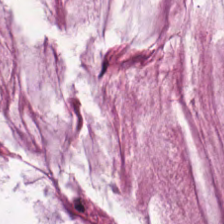H&E-stained tissue section. Predominantly mucus.
